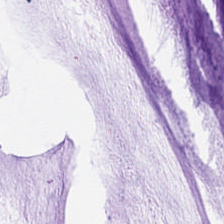Hematoxylin-and-eosin stained section — This field is mucin.
